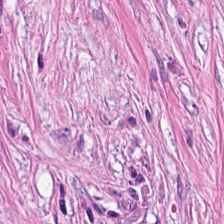H&E. Tissue class — tumor stroma.
